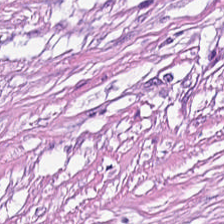H&E stain.
Predominantly cancer-associated stroma.
